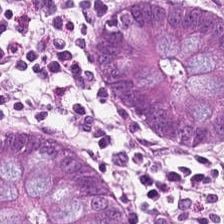{"tissue_type": "normal colon mucosa"}
